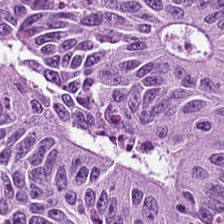H&E — tumor epithelium.
